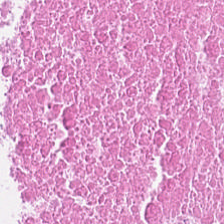Hematoxylin-and-eosin stained section — Q: What is shown in this field?
A: It is necrotic debris.
